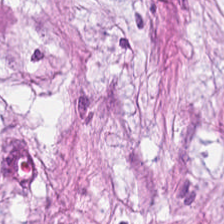H&E stain.
Tissue class — tumor stroma.
